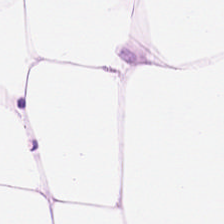H&E. The predominant tissue is fat tissue.
